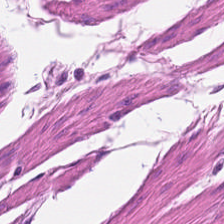0.5 microns per pixel; H&E-stained tissue section. Tissue type: muscularis.
